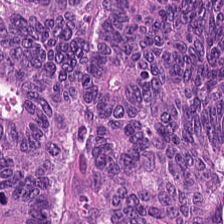Formalin-fixed paraffin-embedded section; H&E stain — The tissue here is malignant epithelium.
